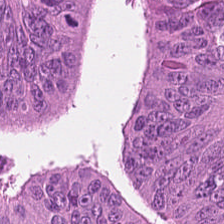Impression → colorectal adenocarcinoma.
